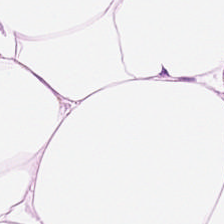224×224 pixel tile; H&E — The tissue type is adipose.
